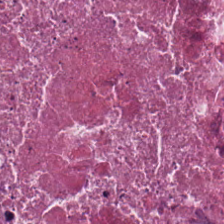Hematoxylin and eosin. Tissue type — cellular debris.
